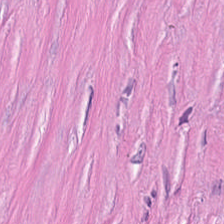Brightfield microscopy; hematoxylin and eosin.
Tissue class — tumor stroma.
